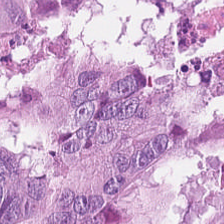WSI patch · H&E · formalin-fixed paraffin-embedded section — Tissue type: malignant epithelium.
